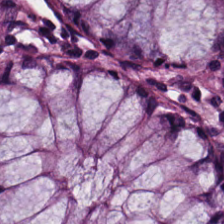Stain: hematoxylin and eosin.
Tissue: benign colonic mucosa.
